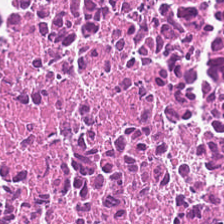Stain: hematoxylin and eosin.
Tissue type: debris.
